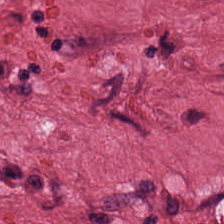H&E-stained tissue section — This patch shows tumor-associated stroma.
